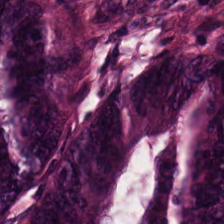Formalin-fixed paraffin-embedded section; H&E stain; 224×224 px tile.
Impression → tumor epithelium.
